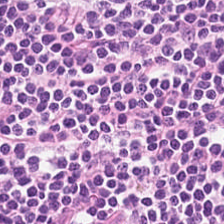H&E stain. Finding — lymphocyte aggregate.
